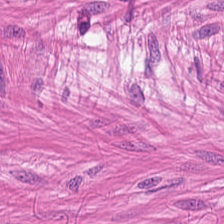Whole-slide-image patch. H&E stain.
Q: What is the predominant tissue type?
A: It is smooth muscle.
